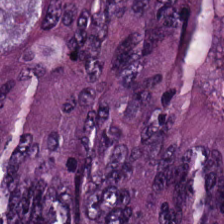Histology — malignant epithelium.
